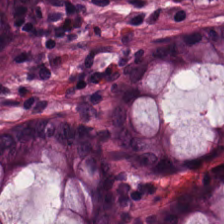H&E — This field is benign colonic mucosa.
